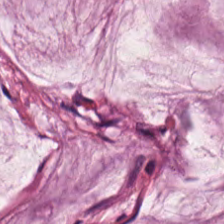0.5 µm/px. H&E. Showing extracellular mucin.
